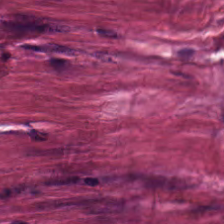Hematoxylin-and-eosin stained section. WSI patch. 224×224 px patch. Predominantly cancer-associated stroma.
